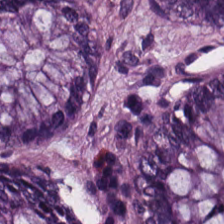Stain: H&E-stained tissue section.
Tissue class: benign colonic mucosa.
